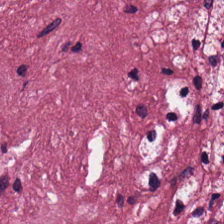Stain: H&E-stained tissue section.
Tissue: tumor-associated stroma.
